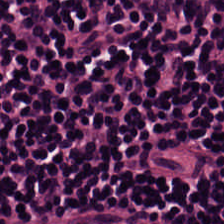H&E patch showing lymphocyte aggregate.
